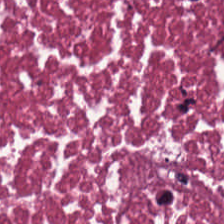Whole-slide-image patch. Hematoxylin-and-eosin stained section.
The tissue here is cellular debris.
